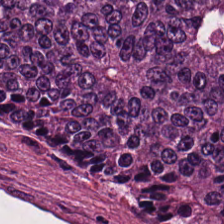0.5 µm/px; hematoxylin and eosin.
This patch shows colorectal adenocarcinoma.
